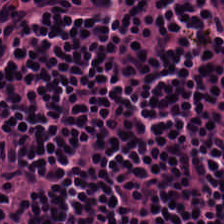Stain: hematoxylin and eosin.
Preparation: FFPE.
Tissue type: lymphocytes.
